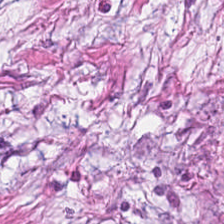Hematoxylin and eosin; 20× equivalent magnification — Classification: tumor-associated stroma.
